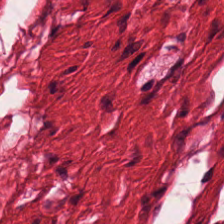Predominantly smooth-muscle tissue.
